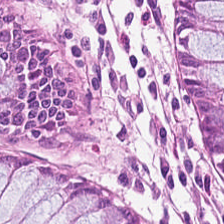Hematoxylin and eosin.
Q: What is shown in this field?
A: Normal colonic mucosa.
